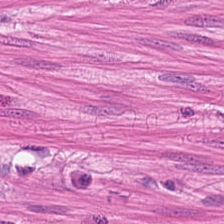The tissue here is muscularis.
